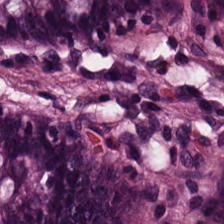H&E stain — Predominant tissue = benign colonic mucosa.
